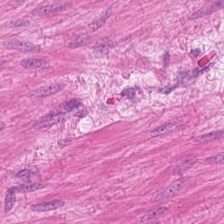H&E stain; 224×224 px tile; formalin-fixed paraffin-embedded section. Q: What does this patch show?
A: Muscularis.
